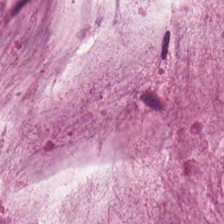{"tissue_type": "extracellular mucin"}
